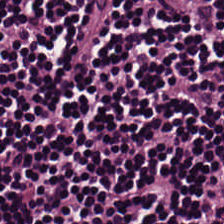H&E-stained tissue section. Tissue class: lymphocytic infiltrate.
